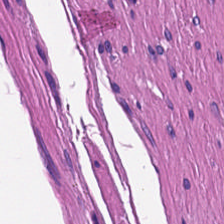Brightfield microscopy; FFPE tissue section; hematoxylin-and-eosin stained section. The predominant tissue is muscularis.
